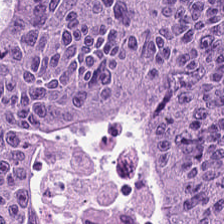WSI patch; hematoxylin and eosin. {"tissue_type": "colorectal adenocarcinoma"}
